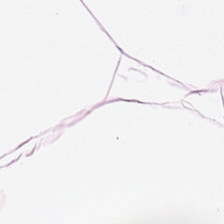0.5 µm per pixel · hematoxylin-and-eosin stained section. Showing adipose tissue.
